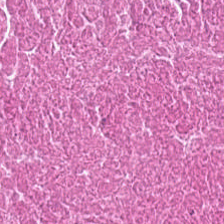Histology — debris.
